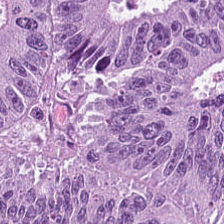H&E-stained tissue section — The tissue here is colorectal adenocarcinoma.
